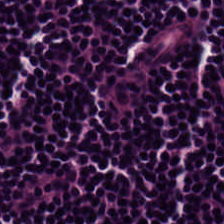H&E — Tissue — lymphocytes.
